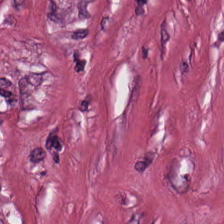H&E-stained tissue section. 224×224 pixel tile. FFPE tissue section.
This patch shows desmoplastic stroma.
